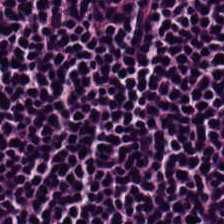Predominant tissue: lymphocytes.
